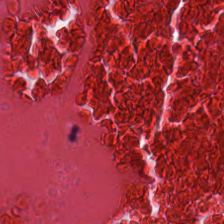Predominant tissue = debris.
